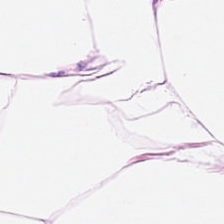This field is adipose tissue.
